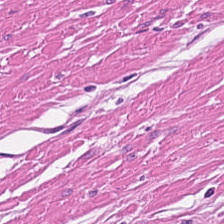Hematoxylin and eosin. Showing muscularis.
